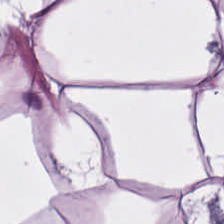Hematoxylin-and-eosin stained section; formalin-fixed paraffin-embedded section — This patch shows adipose tissue.
